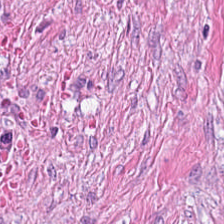{"tissue_type": "desmoplastic stroma"}
